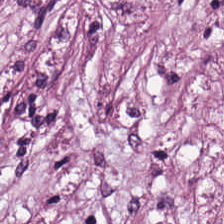Hematoxylin and eosin — The tissue here is cancer-associated stroma.
